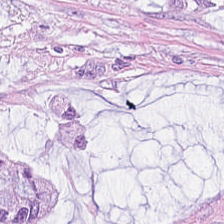{"tissue_type": "extracellular mucin"}
